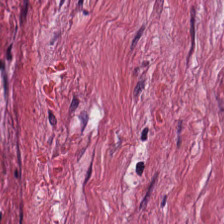H&E-stained tissue section — The tissue is tumor stroma.
